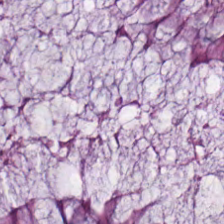Predominantly normal colon mucosa.
